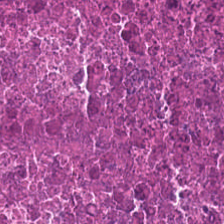Hematoxylin and eosin — Impression → necrotic debris.
